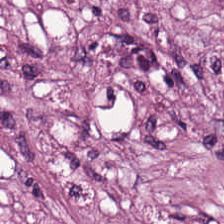H&E stain.
Predominant tissue — tumor-associated stroma.
